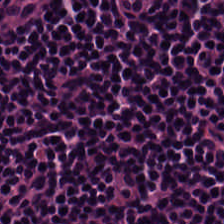Predominant tissue: lymphocytes.
